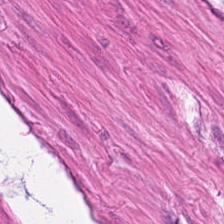H&E.
Predominant tissue — smooth-muscle tissue.
